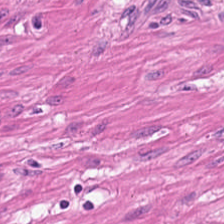H&E-stained tissue section.
Finding — smooth-muscle tissue.
